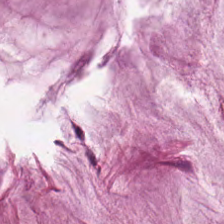H&E-stained tissue section. 224×224 pixel tile. FFPE tissue section. The predominant tissue is mucin.
